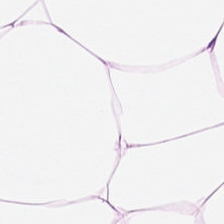Stain: H&E-stained tissue section.
Classification: adipose tissue.
